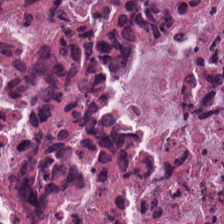Cellular debris.
